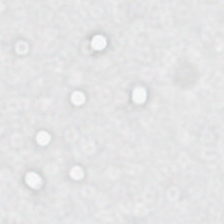224×224 px tile; hematoxylin and eosin — Field content = background (no tissue).
